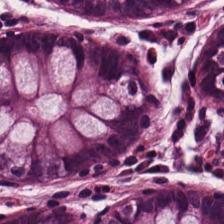Hematoxylin-and-eosin stained section. WSI patch. {"tissue_type": "normal colon mucosa"}
